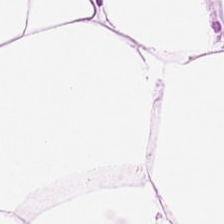Hematoxylin and eosin.
This patch shows fat tissue.
